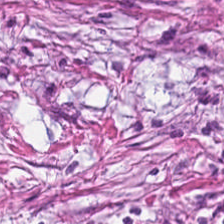{"tissue_type": "tumor-associated stroma"}
